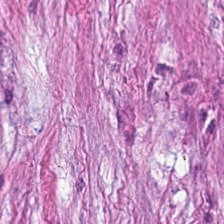0.5 microns per pixel. H&E-stained tissue section. This field is tumor stroma.
